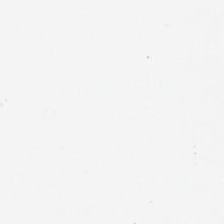Stain: H&E stain.
Classification: background (no tissue).
